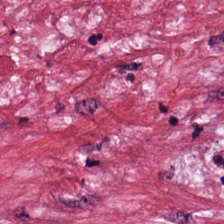20× equivalent magnification. H&E-stained tissue section — Q: What is shown here?
A: Desmoplastic stroma.
